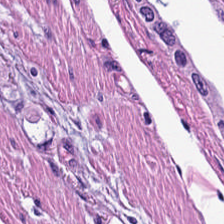H&E-stained tissue section · 224×224 px patch. Tissue type = smooth-muscle tissue.
